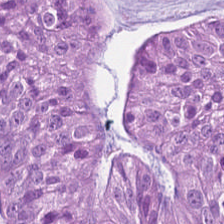Hematoxylin-and-eosin stained section. 20× equivalent magnification.
The classification is adenocarcinoma.
